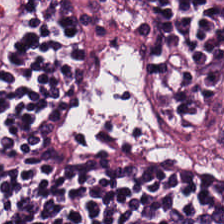Stain: H&E.
Tile size: 224×224 px patch.
Preparation: FFPE tissue section.
Tissue: lymphocytic infiltrate.
